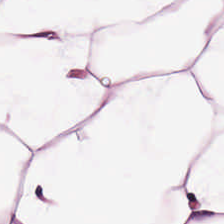This patch shows adipose.
